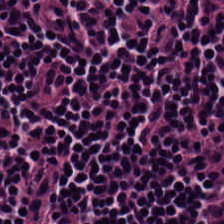H&E-stained tissue section — The predominant tissue is lymphocytes.
